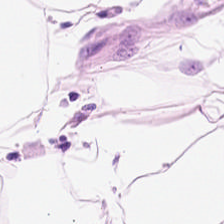Hematoxylin-and-eosin section: adipose tissue.
